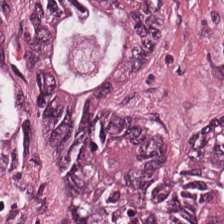H&E-stained tissue section. This field is colorectal adenocarcinoma.
